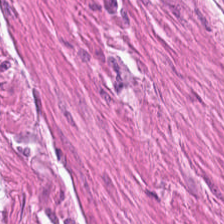Predominant tissue = muscularis.
